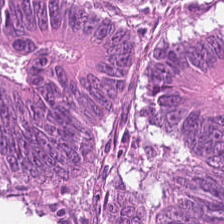FFPE tissue section · hematoxylin and eosin. The tissue here is malignant epithelium.
